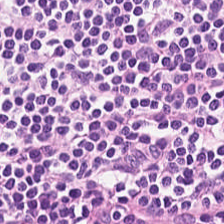H&E-stained tissue section; FFPE tissue section.
Tissue class = lymphocytic infiltrate.
